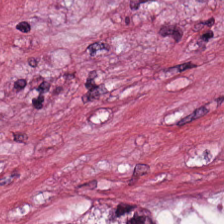H&E-stained tissue section — Tissue type = cancer-associated stroma.
